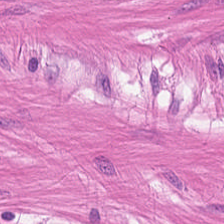Impression — muscularis.
